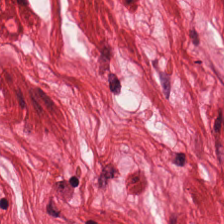H&E stain — Tissue: smooth muscle.
